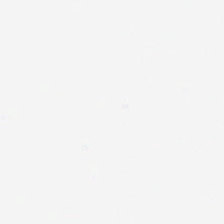224×224 pixel tile; hematoxylin and eosin — Classification — background (no tissue).
